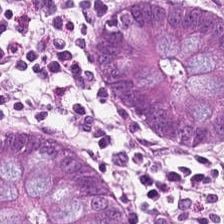Non-neoplastic colon mucosa.
